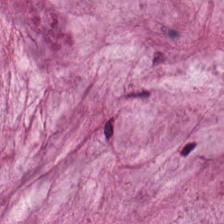Hematoxylin and eosin — Finding → mucin.
